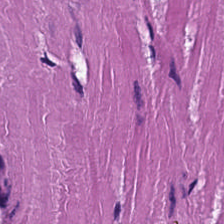H&E. 20× equivalent magnification. Brightfield microscopy — Showing smooth-muscle tissue.
